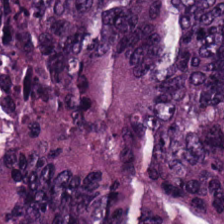Formalin-fixed paraffin-embedded section. H&E stain. Brightfield microscopy — The predominant tissue is malignant epithelium.
